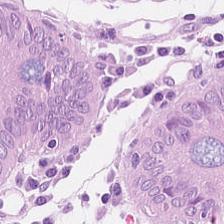224×224 pixel tile. H&E — Tissue type — normal colon mucosa.
